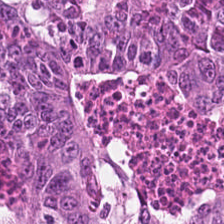H&E-stained tissue section — Predominant tissue: colorectal adenocarcinoma.
